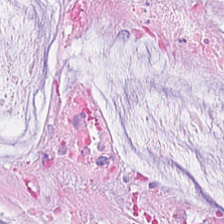H&E.
Tissue type — extracellular mucin.
